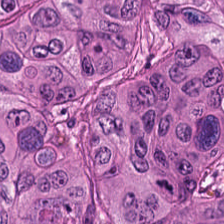H&E. Brightfield microscopy. The tissue here is colorectal adenocarcinoma epithelium.
